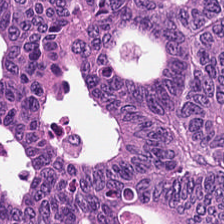Brightfield microscopy. H&E. Predominant tissue — adenocarcinoma.
